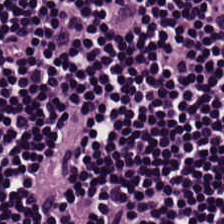{"tissue_type": "lymphocytes"}
